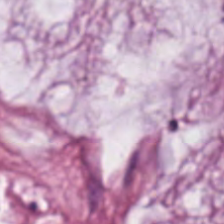Stain: H&E stain.
Classification: extracellular mucin.
